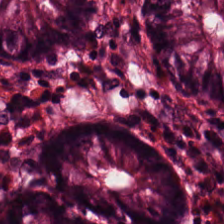This field is non-neoplastic colon mucosa.
